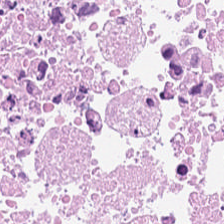H&E-stained tissue section.
The classification is debris.
